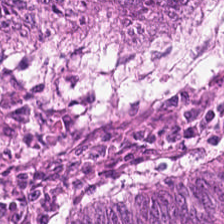Stain: hematoxylin-and-eosin stained section.
Tissue: adenocarcinoma.
